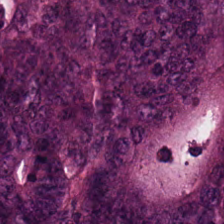H&E-stained tissue section — Finding — adenocarcinoma.
